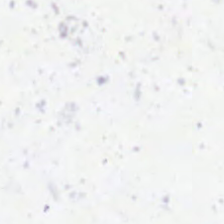Hematoxylin-and-eosin stained section.
{"content": "empty background"}
